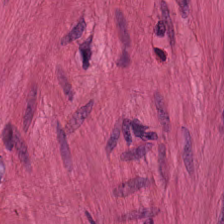0.5 µm/px · hematoxylin and eosin · WSI patch. The tissue here is muscularis.
